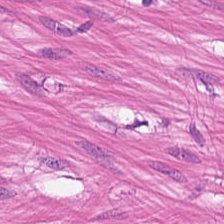Hematoxylin and eosin — Tissue — smooth muscle.
